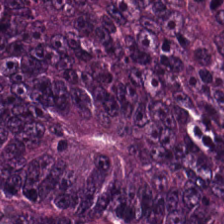0.5 µm per pixel; 224×224 px tile; hematoxylin-and-eosin stained section — This field is adenocarcinoma.
